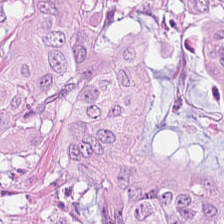Hematoxylin-and-eosin stained section. The tissue here is colorectal adenocarcinoma.
